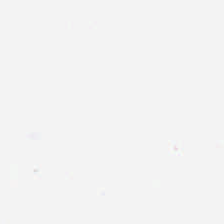Whole-slide-image patch. Hematoxylin and eosin. Formalin-fixed paraffin-embedded section — No tissue present; background only.
